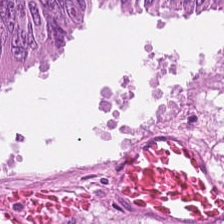H&E. 0.5 microns per pixel. Histology → malignant epithelium.
